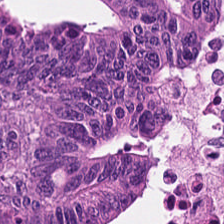Hematoxylin-and-eosin stained section.
This patch shows tumor epithelium.
